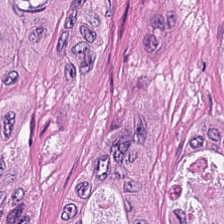Stain: H&E stain.
Preparation: FFPE.
Tissue class: colorectal adenocarcinoma epithelium.
